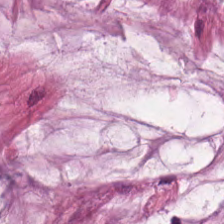H&E-stained tissue section — The tissue type is mucus.
